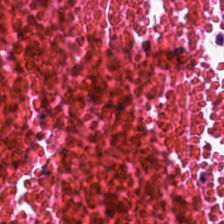H&E; brightfield.
The tissue here is necrotic debris.
